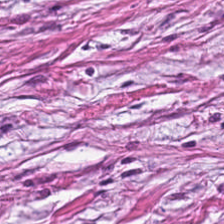H&E-stained tissue section. FFPE tissue section.
Histology — tumor stroma.
